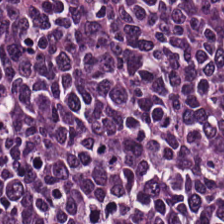Predominantly lymphocytic infiltrate.
